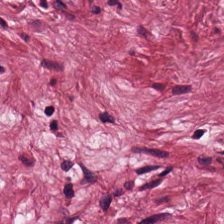H&E stain — Tissue type: tumor-associated stroma.
